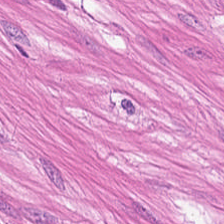Hematoxylin-and-eosin stained section.
Showing smooth-muscle tissue.
